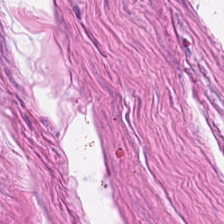Stain: H&E stain.
Tissue class: smooth-muscle tissue.
